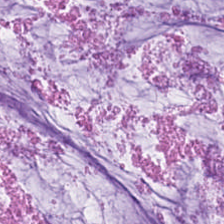Stain: H&E-stained tissue section.
Tissue class: mucin.
